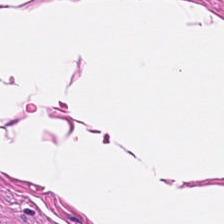H&E-stained tissue section. Brightfield microscopy.
{"tissue_type": "muscularis"}
